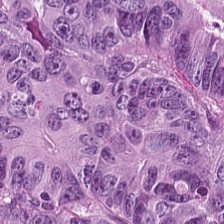H&E-stained tissue section; 224×224 px patch. The predominant tissue is colorectal adenocarcinoma.
